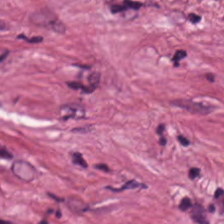Classification = tumor-associated stroma.
